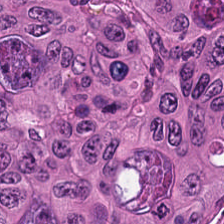224×224 pixel tile; H&E.
Q: What type of tissue is this?
A: The field shows colorectal adenocarcinoma.
